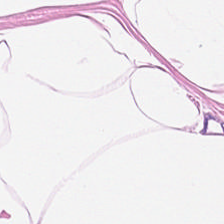0.5 µm/px; H&E. Q: What type of tissue is this?
A: This is adipocytes.
